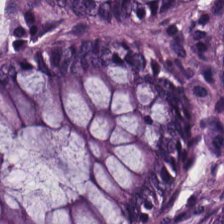{"tissue_type": "normal colonic mucosa"}
